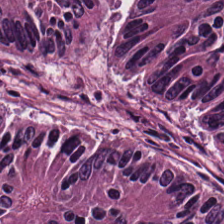H&E.
Predominantly colorectal adenocarcinoma.
